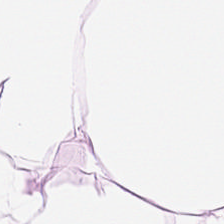Hematoxylin-and-eosin stained section. This patch shows adipose.
